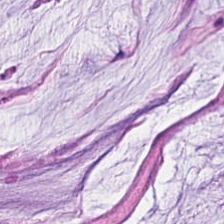H&E stain — {"tissue_type": "mucus"}
